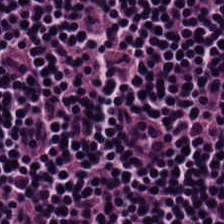Q: What type of tissue is this?
A: This is lymphoid infiltrate.
